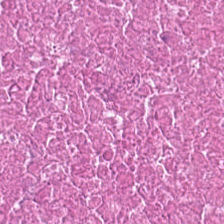H&E stain. 224×224 px tile — Necrotic debris.
